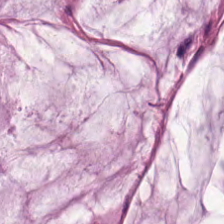H&E-stained tissue section; WSI patch; FFPE tissue section.
Histology — mucin.
